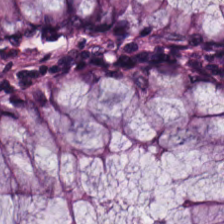Hematoxylin and eosin — Tissue type = normal colon mucosa.
